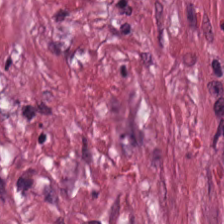Hematoxylin-and-eosin stained section · WSI patch — This field is tumor stroma.
